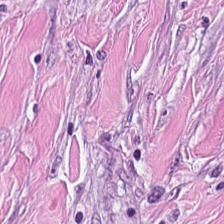H&E. Impression → tumor stroma.
